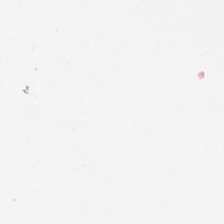Hematoxylin-and-eosin stained section — Field content: background.
